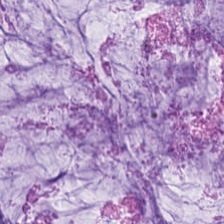224×224 px patch. H&E-stained tissue section. The tissue type is mucin.
